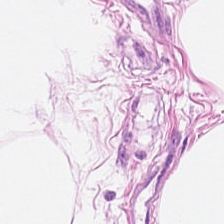{"tissue_type": "adipose"}
